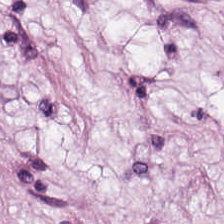Histology — adipose.
